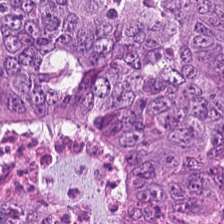H&E-stained tissue section — Predominant tissue: colorectal adenocarcinoma.
